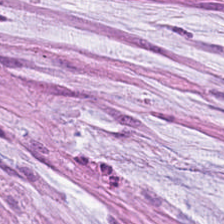Tissue class = mucus.
